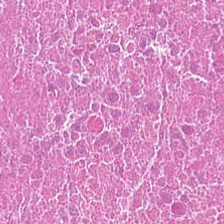H&E; 224×224 pixel tile; 0.5 µm per pixel. The predominant tissue is debris.
